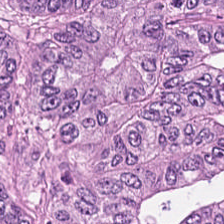H&E-stained tissue section — The classification is colorectal adenocarcinoma epithelium.
